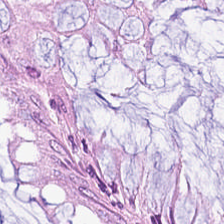Showing normal colon mucosa.
